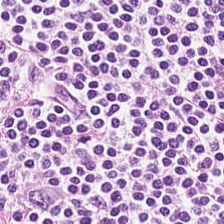20× equivalent magnification · hematoxylin and eosin · 224×224 px tile.
Q: What type of tissue is this?
A: This is lymphoid infiltrate.
